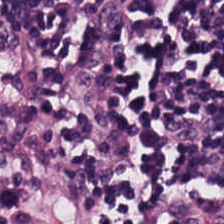This patch shows lymphoid infiltrate.
